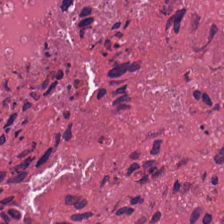Stain: H&E.
Acquisition: whole-slide-image patch.
Preparation: FFPE tissue section.
Tissue class: debris.
